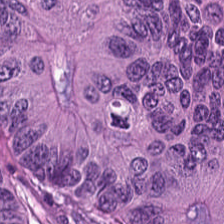H&E. The tissue here is tumor epithelium.
